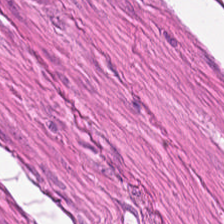0.5 µm/px; hematoxylin and eosin — Histology → muscularis.
